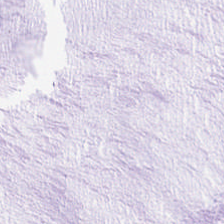Hematoxylin-and-eosin stained section. Finding → mucin.
